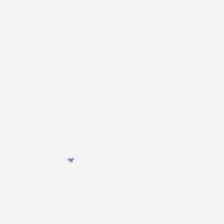H&E-stained tissue section. 20× equivalent magnification. Whole-slide-image patch — No tissue present; background only.
